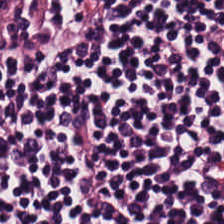Hematoxylin and eosin. 224×224 pixel tile — Showing lymphoid infiltrate.
